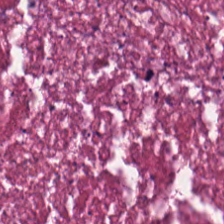20× equivalent magnification. Hematoxylin and eosin. FFPE. Predominantly cellular debris.
